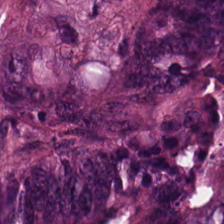224×224 px patch; hematoxylin and eosin.
The predominant tissue is tumor epithelium.
